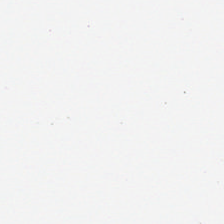Hematoxylin and eosin.
Classification = background (no tissue).
